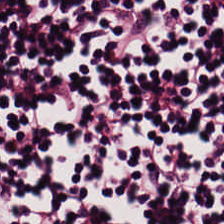Lymphoid infiltrate.
